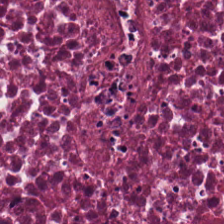Brightfield microscopy · 0.5 microns per pixel · hematoxylin and eosin.
Finding → cellular debris.
